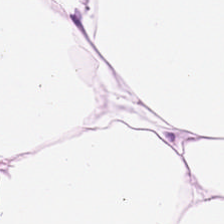H&E; brightfield. The tissue type is adipose tissue.
